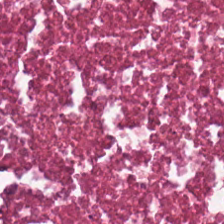Q: What tissue is shown?
A: The field shows cellular debris.
